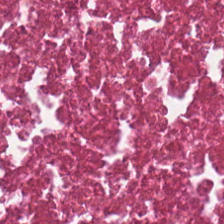Hematoxylin and eosin.
Predominantly debris.
